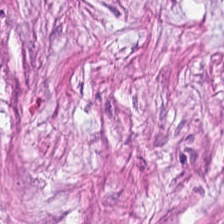Q: What tissue type is shown here?
A: It is tumor-associated stroma.
